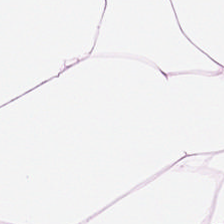Formalin-fixed paraffin-embedded section · H&E-stained tissue section · 20× equivalent magnification. Classification: adipose tissue.
